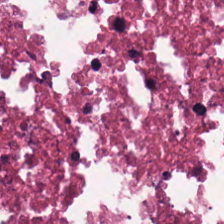H&E-stained tissue section.
Q: What does this patch show?
A: This is cellular debris.
